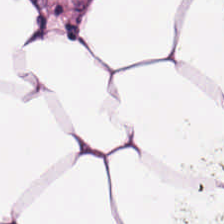H&E. The tissue here is adipose.
